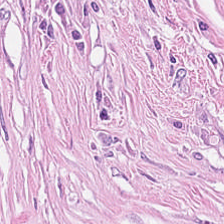Hematoxylin and eosin. Classification = tumor stroma.
